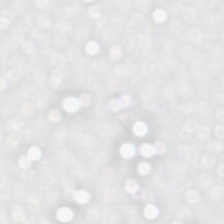H&E stain.
No tissue present; background only.
